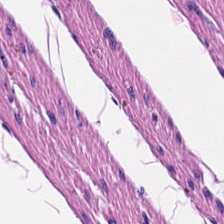H&E-stained tissue section. Classification = muscularis.
